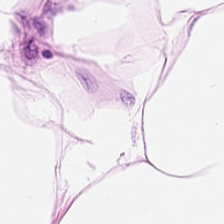Showing adipose.
